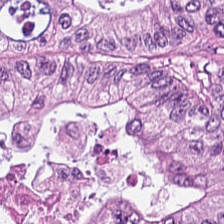H&E stain.
Tissue type — colorectal adenocarcinoma epithelium.
